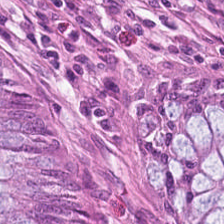Histology — normal colon mucosa.
